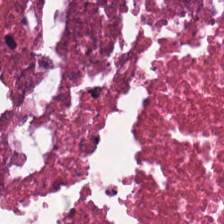H&E stain — Showing debris.
